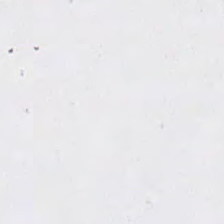Stain: hematoxylin and eosin.
Preparation: formalin-fixed paraffin-embedded section.
Content: background (no tissue).
